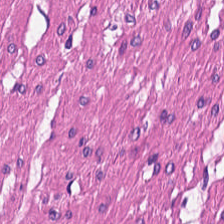H&E-stained tissue section. Showing muscularis.
